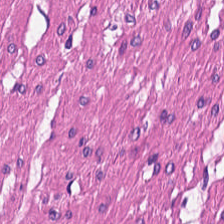H&E-stained tissue section. Showing muscularis.
